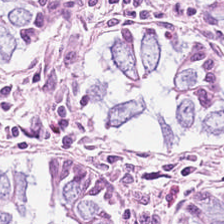Hematoxylin-and-eosin stained section. The tissue here is normal colon mucosa.
